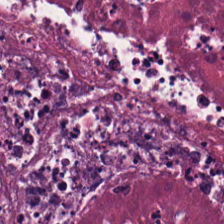0.5 µm per pixel; FFPE tissue section; H&E stain. The tissue here is cellular debris.
